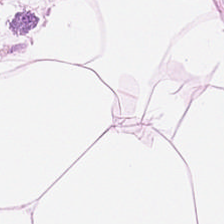Stain: hematoxylin and eosin.
Classification: adipocytes.
